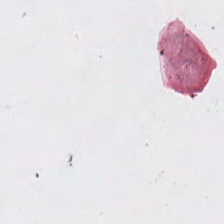FFPE. 224×224 px patch. H&E stain.
Field content: no tissue.
